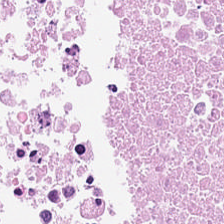Tissue class = cellular debris.
